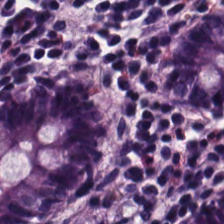The tissue is normal colon mucosa.
